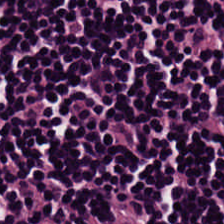H&E stain — Tissue = lymphocyte aggregate.
